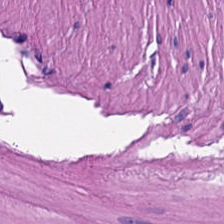Stain: H&E stain.
Classification: smooth-muscle tissue.
